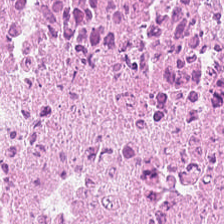Hematoxylin-and-eosin stained section — Tissue: cellular debris.
